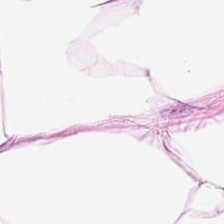Hematoxylin-and-eosin stained section; formalin-fixed paraffin-embedded section; 224×224 px patch.
Q: What is shown in this field?
A: The field shows adipose tissue.
